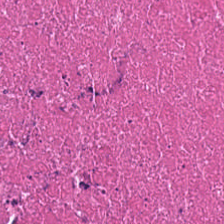Hematoxylin and eosin. This patch shows cellular debris.
